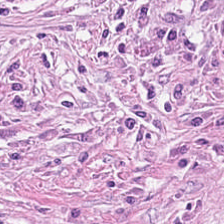Stain: H&E.
Tile size: 224×224 px tile.
Classification: cancer-associated stroma.
